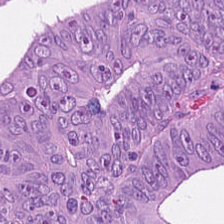Hematoxylin-and-eosin stained section. 224×224 pixel tile. 0.5 microns per pixel — The tissue here is malignant epithelium.
